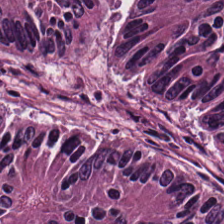Hematoxylin and eosin — Showing tumor epithelium.
